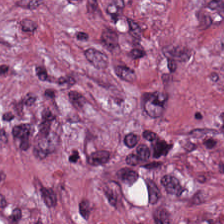Hematoxylin-and-eosin stained section. This field is desmoplastic stroma.
